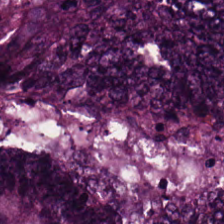Hematoxylin-and-eosin stained section.
Q: What does this patch show?
A: It is tumor epithelium.
